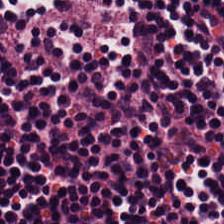H&E — Predominantly lymphocyte aggregate.
